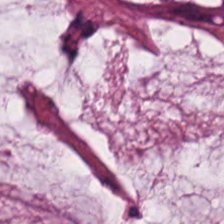224×224 px patch. Hematoxylin-and-eosin stained section — The predominant tissue is mucin.
